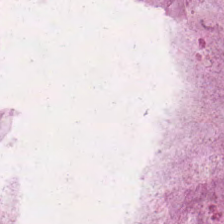Stain: H&E.
Classification: extracellular mucin.
